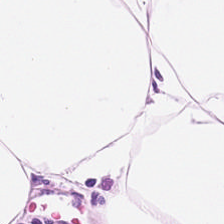H&E-stained tissue section.
Finding — fat tissue.
